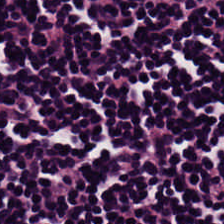Hematoxylin-and-eosin section: lymphocytic infiltrate.
